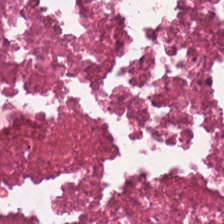Tissue — debris.
